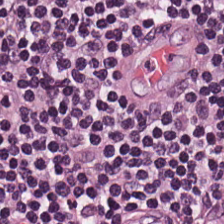FFPE; hematoxylin and eosin; 224×224 pixel tile.
Predominant tissue = lymphocyte aggregate.
